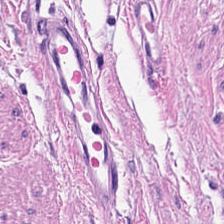H&E. Formalin-fixed paraffin-embedded section. Whole-slide-image patch. Classification = muscularis.
